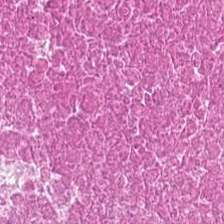0.5 microns per pixel. H&E.
Predominant tissue: debris.
